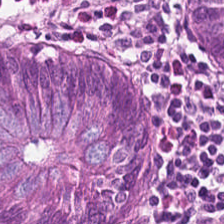This patch shows non-neoplastic colon mucosa.
